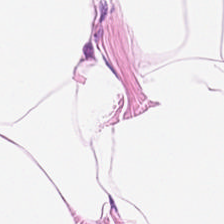Hematoxylin and eosin. 0.5 microns per pixel. WSI patch — This field is fat tissue.
